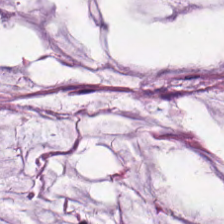H&E stain. Q: What is shown in this field?
A: Extracellular mucin.
